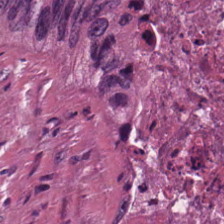H&E stain.
Tissue: cellular debris.
